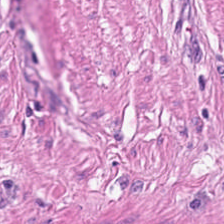Q: What does this patch show?
A: Smooth muscle.
